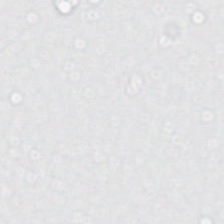Hematoxylin-and-eosin stained section. {"content": "no tissue"}
